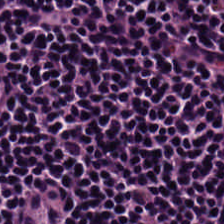WSI patch. H&E.
The predominant tissue is lymphocytes.
